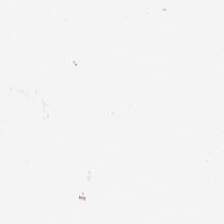Brightfield · hematoxylin and eosin. Field content — background.
